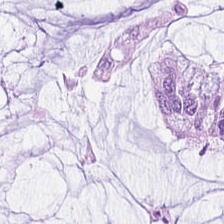H&E-stained tissue section; FFPE. The predominant tissue is mucus.
